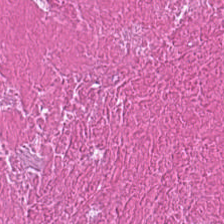H&E stain — This patch shows necrotic debris.
